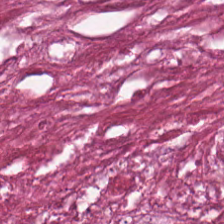0.5 µm per pixel; H&E; brightfield. Predominant tissue — cellular debris.
